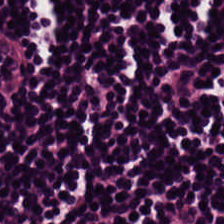H&E-stained tissue section.
The tissue class is lymphocytes.
